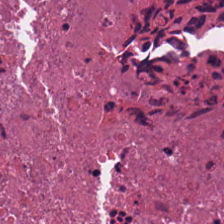H&E-stained tissue section. 224×224 pixel tile — Tissue type — cellular debris.
